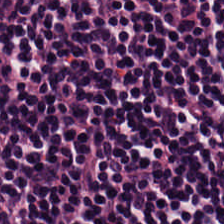H&E stain — Tissue class: lymphocytic infiltrate.
